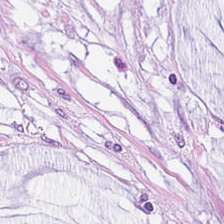Hematoxylin and eosin. Q: Identify the tissue.
A: The field shows mucin.
